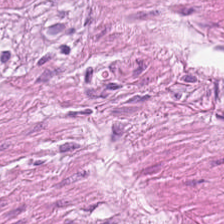H&E stain.
Showing muscularis.
